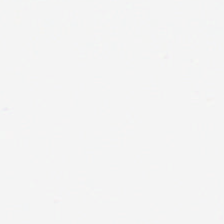No tissue.
